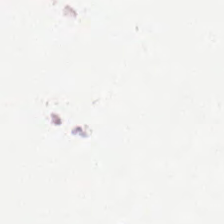Hematoxylin-and-eosin stained section. 0.5 µm per pixel. The field content is no tissue.
